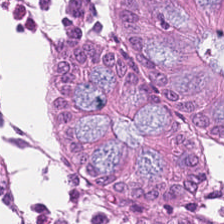Hematoxylin-and-eosin stained section — Predominant tissue: non-neoplastic colon mucosa.
